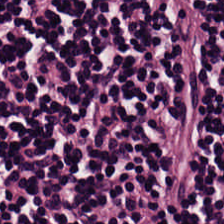FFPE. Hematoxylin-and-eosin stained section — The predominant tissue is lymphocytes.
